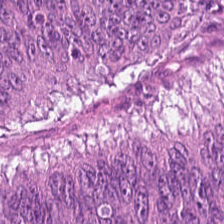FFPE · H&E-stained tissue section — Showing malignant epithelium.
